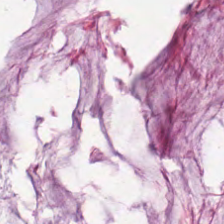Whole-slide-image patch. Hematoxylin and eosin — Impression → mucin.
